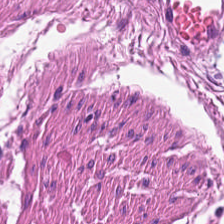H&E-stained tissue section; WSI patch; formalin-fixed paraffin-embedded section — The tissue type is smooth-muscle tissue.
